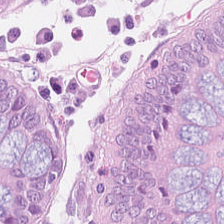H&E-stained tissue section.
Predominantly non-neoplastic colon mucosa.
